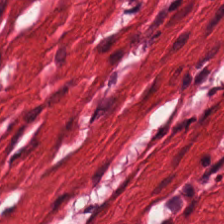H&E stain; brightfield — Predominant tissue: muscularis.
